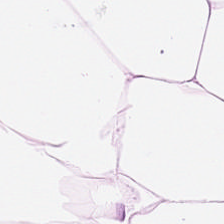Hematoxylin-and-eosin section: fat tissue.
